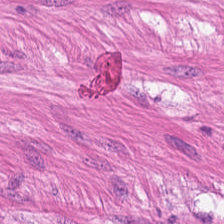224×224 px patch; 0.5 µm per pixel; hematoxylin-and-eosin stained section.
Q: Identify the tissue.
A: It is smooth-muscle tissue.
